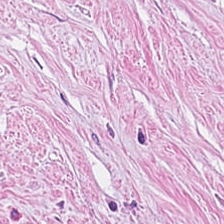Impression — desmoplastic stroma.
